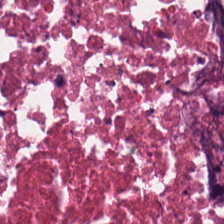Hematoxylin and eosin; FFPE.
Q: What is shown in this field?
A: This is debris.
